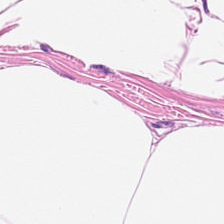Hematoxylin and eosin. Predominant tissue: adipose tissue.
